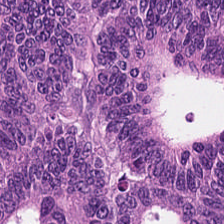Formalin-fixed paraffin-embedded section · 0.5 µm per pixel · H&E stain — The tissue here is adenocarcinoma.
